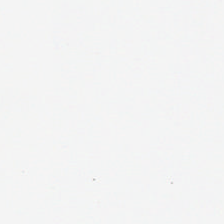H&E-stained tissue section. Background — no tissue in this field.
